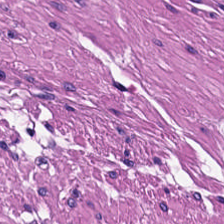H&E-stained tissue section — Finding → smooth muscle.
